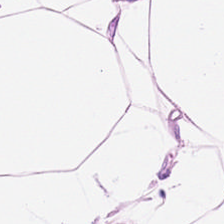H&E-stained tissue section showing adipose.
